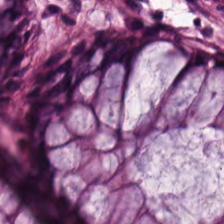Brightfield · hematoxylin and eosin. Normal colon mucosa.
